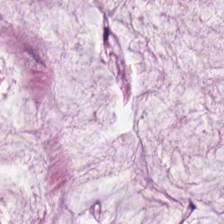Stain: hematoxylin-and-eosin stained section.
Tissue: mucin.
